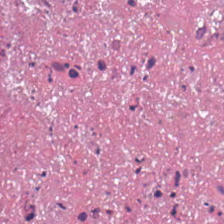Whole-slide-image patch; H&E stain — Q: What is the predominant tissue type?
A: The field shows cellular debris.
